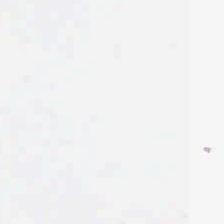Hematoxylin and eosin. FFPE.
Classification = no tissue.
